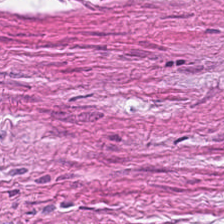H&E-stained tissue section — This field is tumor stroma.
